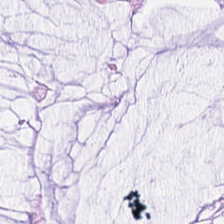Q: What is the predominant tissue type?
A: Extracellular mucin.
